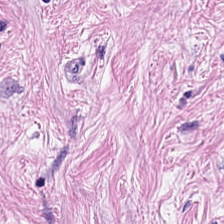H&E stain · 224×224 px tile — The tissue here is tumor stroma.
